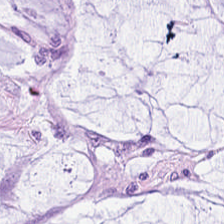H&E — Showing mucus.
